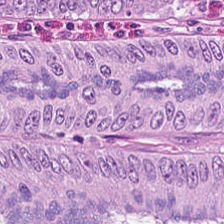H&E.
Q: Identify the tissue.
A: This is tumor epithelium.
